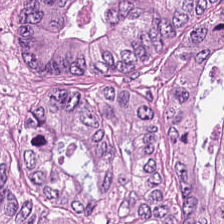Stain: H&E-stained tissue section.
Predominant tissue: tumor epithelium.
